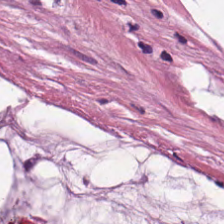H&E stain; 20× equivalent magnification. The predominant tissue is extracellular mucin.
